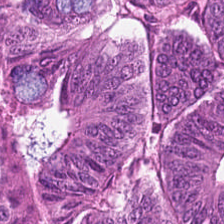H&E-stained tissue section; 0.5 µm/px — This field is adenocarcinoma.
